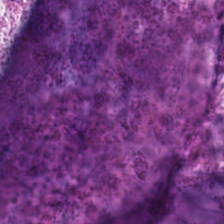Showing extracellular mucin.
